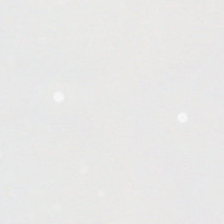Whole-slide-image patch; hematoxylin and eosin; 224×224 pixel tile.
Empty field — no tissue.
